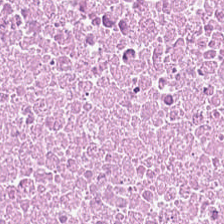Hematoxylin and eosin. Cellular debris.
